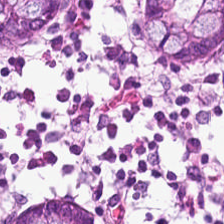H&E · 224×224 pixel tile · formalin-fixed paraffin-embedded section — Finding → normal colonic mucosa.
